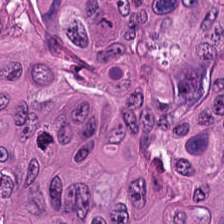H&E stain.
Malignant epithelium.
